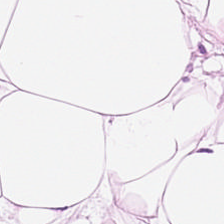FFPE · 224×224 pixel tile · hematoxylin-and-eosin stained section. Q: What tissue is shown?
A: Adipocytes.
